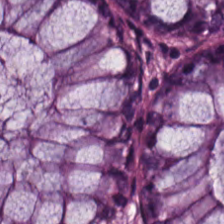H&E-stained tissue section — This field is normal colonic mucosa.
